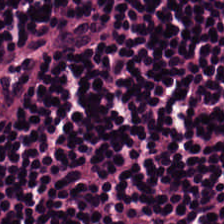Hematoxylin-and-eosin stained section · formalin-fixed paraffin-embedded section. Q: Classify this patch.
A: It is lymphocytic infiltrate.
